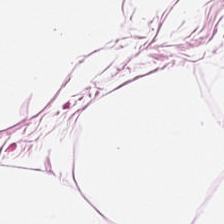Brightfield microscopy. H&E.
This field is fat tissue.
